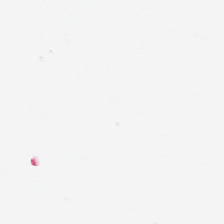Brightfield. Hematoxylin-and-eosin stained section. 0.5 microns per pixel — Content = empty background.
